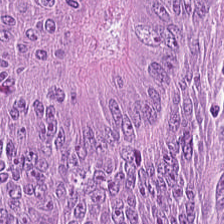H&E · WSI patch. The predominant tissue is adenocarcinoma.
